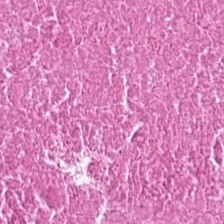Tissue class: necrotic debris.
